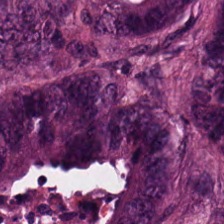H&E; 224×224 pixel tile.
Q: What tissue type is shown here?
A: Colorectal adenocarcinoma.
